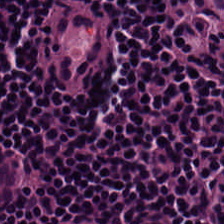Formalin-fixed paraffin-embedded section; hematoxylin and eosin — {"tissue_type": "lymphocytic infiltrate"}
